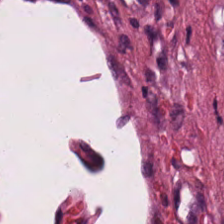H&E stain; 224×224 px tile; formalin-fixed paraffin-embedded section. The tissue here is tumor-associated stroma.
